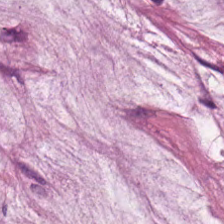H&E stain.
This field is mucin.
